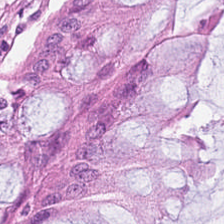Stain: hematoxylin-and-eosin stained section.
Tissue: normal colon mucosa.
